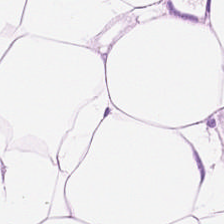0.5 µm/px · formalin-fixed paraffin-embedded section · hematoxylin-and-eosin stained section.
Q: What does this patch show?
A: Fat tissue.
